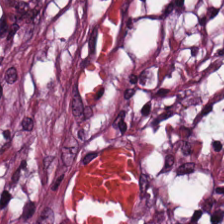H&E-stained tissue section; WSI patch. Histology — tumor-associated stroma.
